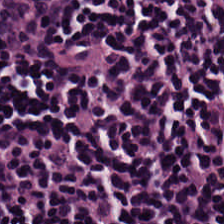Stain: hematoxylin and eosin.
Resolution: 20× equivalent magnification.
Preparation: FFPE tissue section.
Tissue type: lymphocytic infiltrate.
